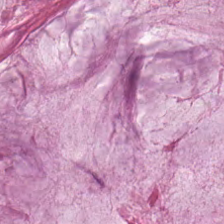Hematoxylin-and-eosin stained section — The predominant tissue is mucin.
